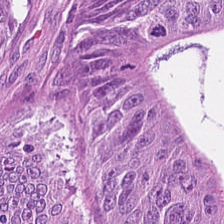Brightfield microscopy. Hematoxylin and eosin. 224×224 pixel tile.
The tissue type is colorectal adenocarcinoma.
